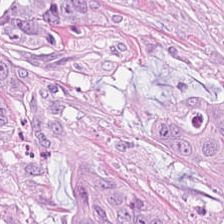224×224 px patch · H&E-stained tissue section.
Q: Identify the tissue.
A: Colorectal adenocarcinoma epithelium.
